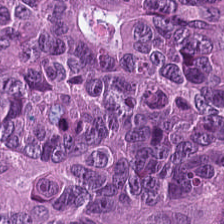Hematoxylin-and-eosin stained section. Tissue = tumor epithelium.
